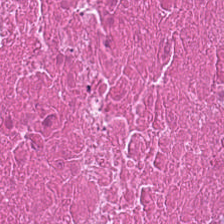WSI patch · 224×224 px tile · H&E — Tissue = necrotic debris.
